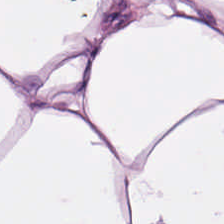Stain: H&E stain.
Tissue class: adipose tissue.
